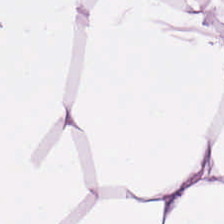The predominant tissue is adipocytes.
